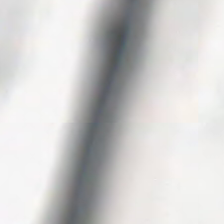Stain: hematoxylin-and-eosin stained section.
Acquisition: brightfield microscopy.
Content: background (no tissue).
